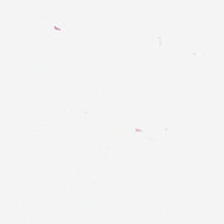H&E stain · 224×224 px tile — No tissue present; background only.
